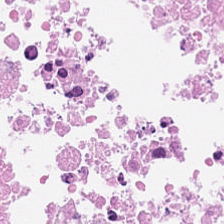Stain: hematoxylin-and-eosin stained section.
Tissue class: cellular debris.
